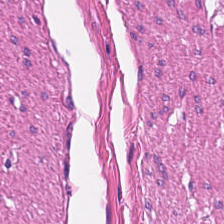Hematoxylin-and-eosin stained section. Q: What is the predominant tissue type?
A: This is smooth-muscle tissue.
